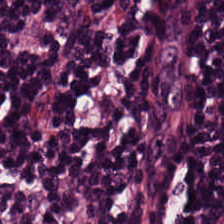224×224 px tile; FFPE; H&E-stained tissue section — Predominant tissue = lymphocytic infiltrate.
